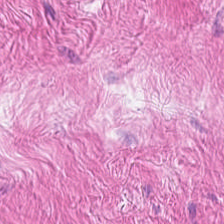Smooth-muscle tissue.
